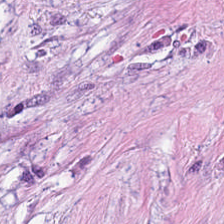Stain: hematoxylin-and-eosin stained section.
Classification: tumor stroma.
